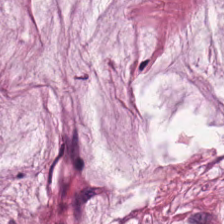H&E-stained tissue section. 224×224 px patch. Q: What type of tissue is this?
A: The field shows mucin.
